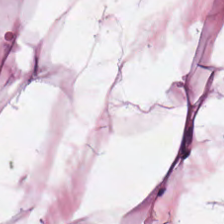H&E-stained tissue section · brightfield microscopy · 0.5 µm per pixel. Finding — fat tissue.
